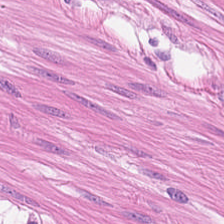H&E-stained tissue section.
Classification: smooth-muscle tissue.
